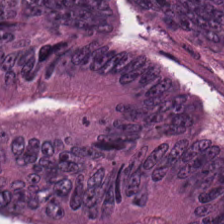H&E-stained tissue section — The tissue here is colorectal adenocarcinoma.
